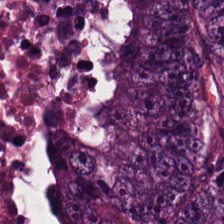H&E. 224×224 pixel tile. Brightfield. Tissue class: malignant epithelium.
